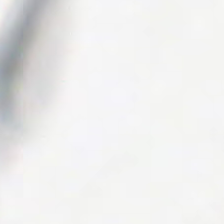Formalin-fixed paraffin-embedded section · hematoxylin-and-eosin stained section.
This patch shows background.
